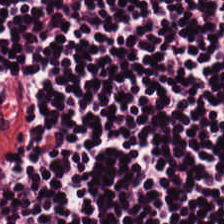Stain: H&E stain.
Tissue: lymphoid infiltrate.
